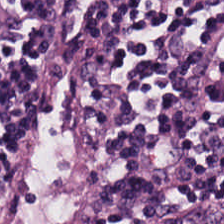Hematoxylin and eosin. Finding — lymphoid infiltrate.
